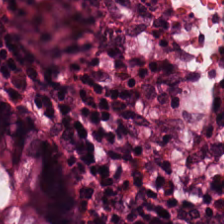Hematoxylin-and-eosin stained section.
Normal colonic mucosa.
